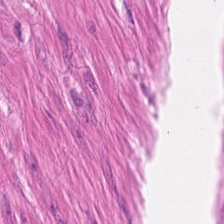Classification: muscularis.
